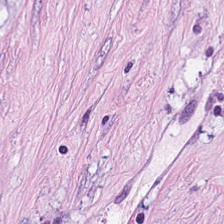Formalin-fixed paraffin-embedded section; hematoxylin-and-eosin stained section; 0.5 microns per pixel. Tissue class: cancer-associated stroma.
